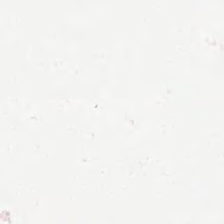H&E stain — This field is background (no tissue).
